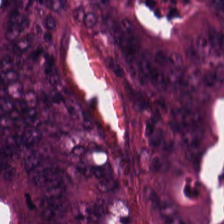Hematoxylin and eosin.
{"tissue_type": "malignant epithelium"}
